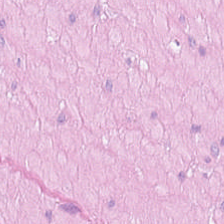H&E-stained tissue section · WSI patch.
Predominant tissue: muscularis.
